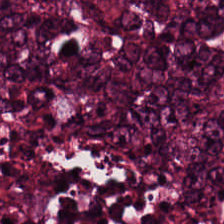Hematoxylin and eosin. This patch shows colorectal adenocarcinoma.
